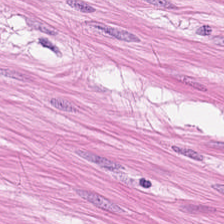Hematoxylin-and-eosin stained section — Histology — smooth-muscle tissue.
